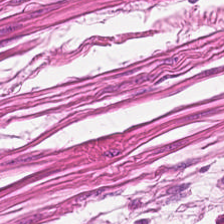Showing muscularis.
